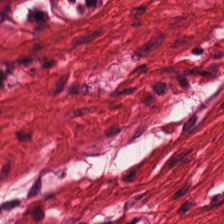Predominant tissue: smooth-muscle tissue.
